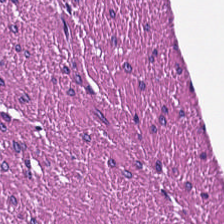Hematoxylin and eosin. {"tissue_type": "smooth-muscle tissue"}
